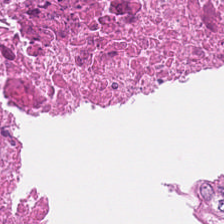Tissue type = necrotic debris.
